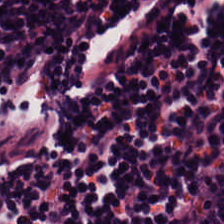Predominant tissue: lymphoid infiltrate.
